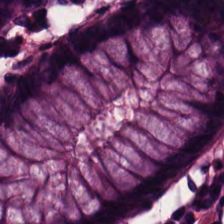FFPE tissue section · H&E stain — Tissue class: benign colonic mucosa.
